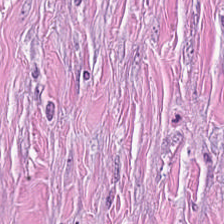Tissue — desmoplastic stroma.
